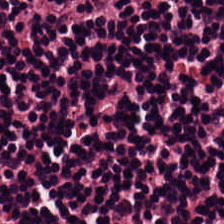{"tissue_type": "lymphocytic infiltrate"}
